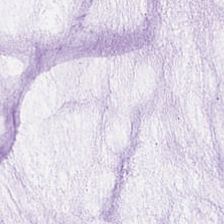H&E — mucin.
